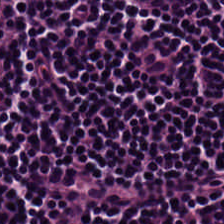FFPE · H&E stain.
Histology — lymphocyte aggregate.
